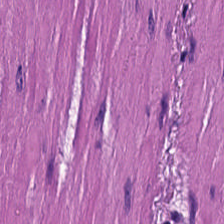Hematoxylin and eosin · 224×224 pixel tile — Q: What tissue is shown?
A: This is smooth muscle.
